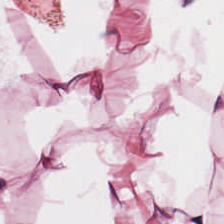Predominant tissue = adipose.
